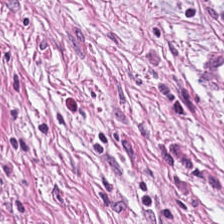H&E-stained tissue section. 224×224 px patch — The tissue is desmoplastic stroma.
